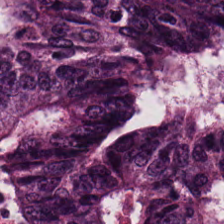H&E · WSI patch. The tissue type is colorectal adenocarcinoma epithelium.
